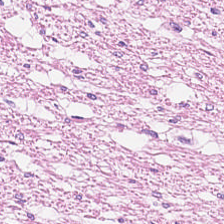Classification — smooth-muscle tissue.
